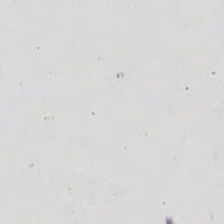Field content: empty background.
